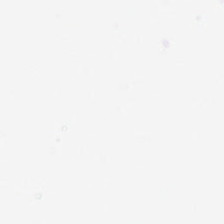Impression → no tissue.
